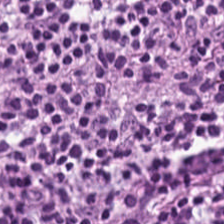Tissue class: lymphocytic infiltrate.
